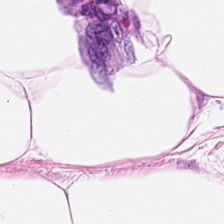H&E · FFPE tissue section — Tissue class: adipose.
